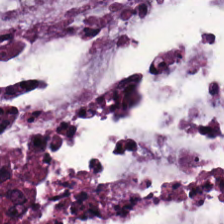H&E. The tissue here is mucus.
